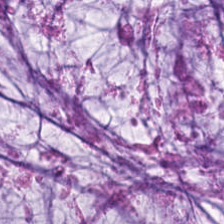Hematoxylin and eosin.
Tissue — mucin.
